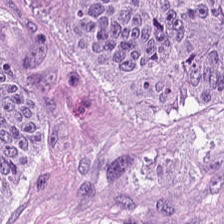H&E — adenocarcinoma.
